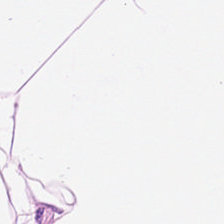FFPE; H&E stain — Q: Classify this patch.
A: This is adipose tissue.
